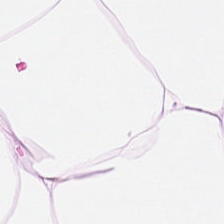H&E stain — Finding → adipose tissue.
